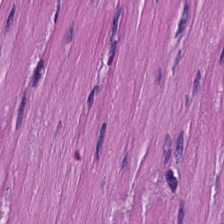Hematoxylin-and-eosin stained section. Brightfield — Showing muscularis.
